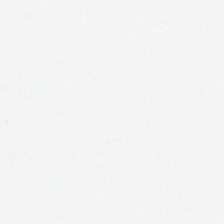This patch shows background (no tissue).
